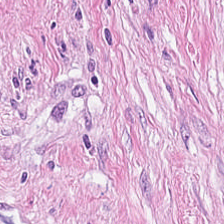Stain: H&E.
Preparation: FFPE tissue section.
Tile size: 224×224 px tile.
Classification: cancer-associated stroma.
